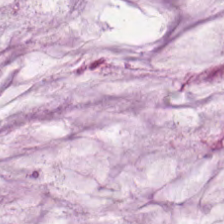Hematoxylin-and-eosin stained section · 0.5 µm/px — Mucin.
